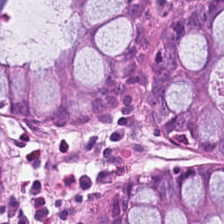This field is benign colonic mucosa.
